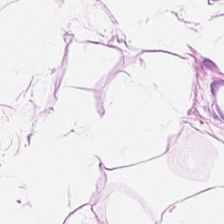Predominantly adipocytes.
